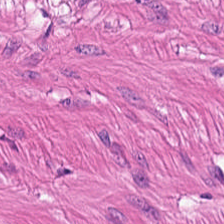Stain: H&E.
Classification: muscularis.
